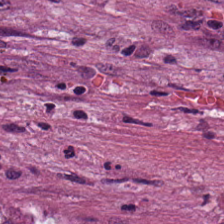H&E stain; 224×224 px patch; brightfield.
Tissue type — tumor-associated stroma.
